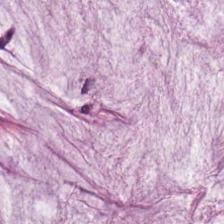Tissue = mucin.
